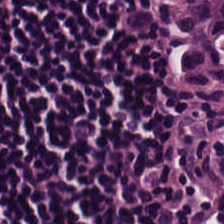H&E stain. Finding — lymphocyte aggregate.
